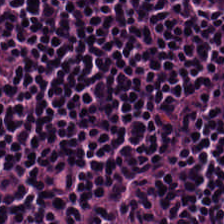Impression → lymphocytes.
